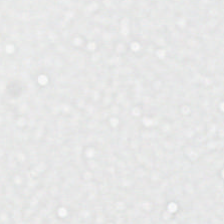H&E stain. {"content": "background (no tissue)"}
